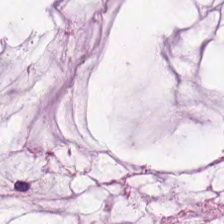H&E stain. Showing mucin.
